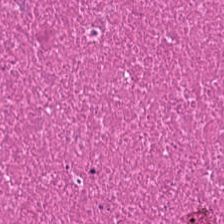Tissue class — necrotic debris.
